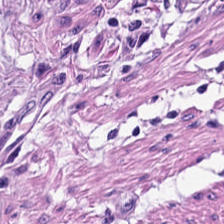The classification is smooth-muscle tissue.
